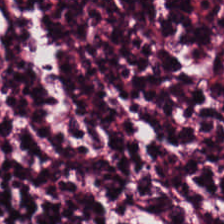H&E-stained tissue section showing lymphoid infiltrate.
